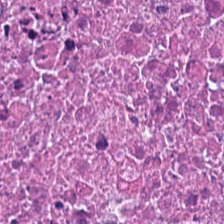{"tissue_type": "necrotic debris"}
